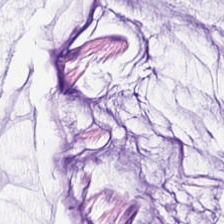0.5 µm/px. H&E stain — Tissue = extracellular mucin.
